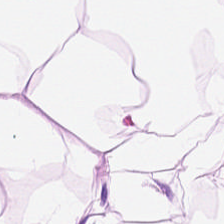Stain: H&E.
Predominant tissue: adipose.
